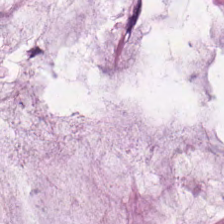Q: What does this patch show?
A: Mucin.
